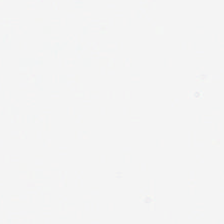Stain: H&E stain.
Tile size: 224×224 pixel tile.
Resolution: 0.5 µm/px.
Content: background (no tissue).
